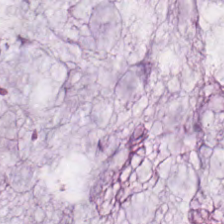H&E-stained tissue section. Tissue — extracellular mucin.
